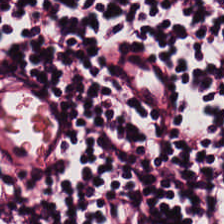Hematoxylin and eosin · 224×224 px patch — Showing lymphocytes.
